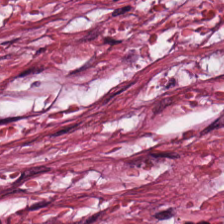224×224 px patch; H&E stain. {"tissue_type": "tumor stroma"}
